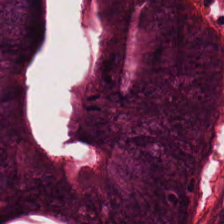H&E stain — The predominant tissue is tumor epithelium.
